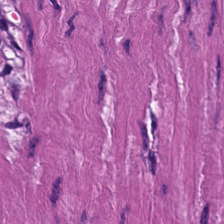Showing smooth-muscle tissue.
